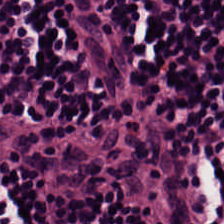0.5 µm per pixel. H&E-stained tissue section. Whole-slide-image patch. This field is lymphocytic infiltrate.
